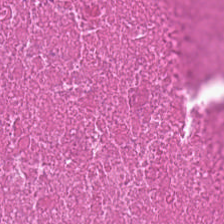Hematoxylin and eosin — Finding → cellular debris.
